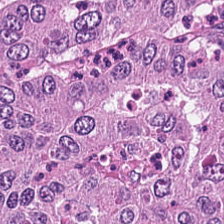H&E stain · brightfield microscopy — Predominantly tumor epithelium.
